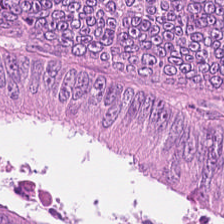H&E. The tissue class is colorectal adenocarcinoma epithelium.
